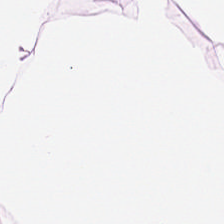H&E — fat tissue.
